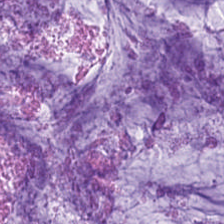H&E.
Histology — mucus.
